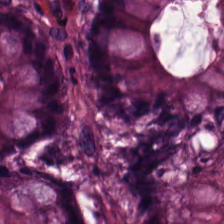FFPE. Hematoxylin-and-eosin stained section — Q: What does this patch show?
A: It is normal colonic mucosa.
